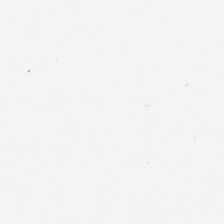Stain: H&E.
Classification: background.
